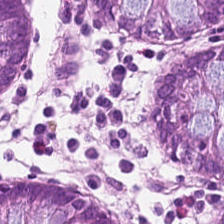H&E stain.
This field is benign colonic mucosa.
